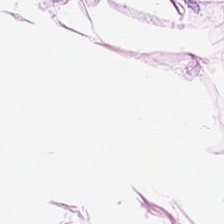224×224 px patch. Hematoxylin-and-eosin stained section. Tissue class: fat tissue.
